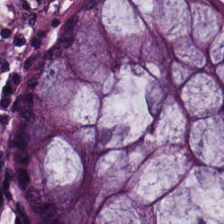H&E.
Q: Classify this patch.
A: The field shows benign colonic mucosa.
